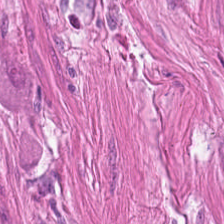Stain: hematoxylin and eosin.
Tissue class: smooth muscle.
